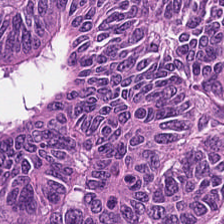FFPE tissue section; H&E-stained tissue section — Impression — colorectal adenocarcinoma.
